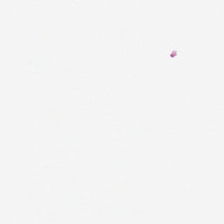Stain: H&E-stained tissue section.
Content: empty background.
